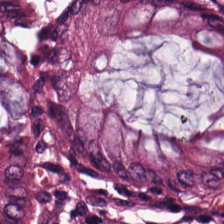H&E stain — Q: What type of tissue is this?
A: Normal colonic mucosa.
